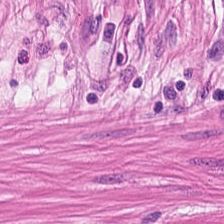0.5 microns per pixel · H&E stain. The predominant tissue is muscularis.
